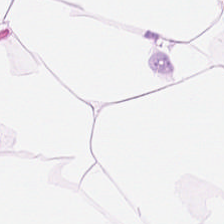Tissue type: adipose tissue.
